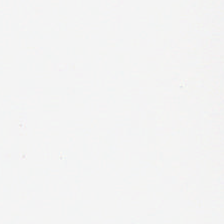Hematoxylin and eosin; 224×224 px tile; 20× equivalent magnification. Content — no tissue.
